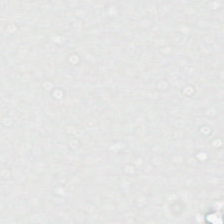H&E. 224×224 px patch.
Classification — background (no tissue).
